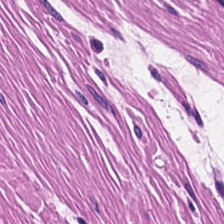Stain: H&E stain.
Classification: smooth muscle.
